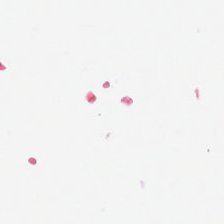Stain: H&E stain.
Field content: empty background.
